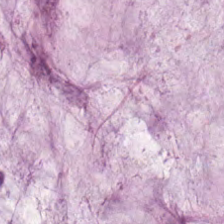FFPE. 0.5 µm/px. H&E stain.
Tissue class: mucin.
